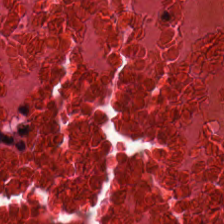Hematoxylin and eosin — Histology — necrotic debris.
